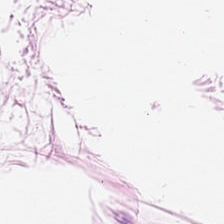H&E stain.
Impression → adipose.
